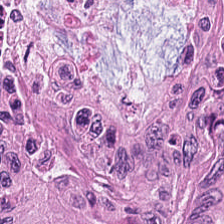The tissue here is adenocarcinoma.
